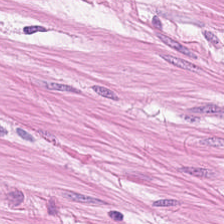FFPE. H&E-stained tissue section. 0.5 microns per pixel — Showing smooth-muscle tissue.
